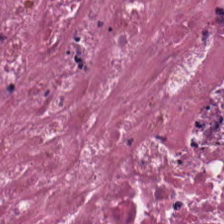H&E stain. Cellular debris.
